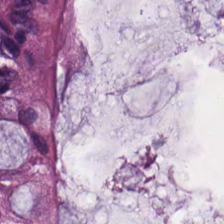H&E stain.
Predominant tissue: benign colonic mucosa.
